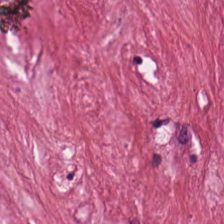H&E-stained tissue section. FFPE tissue section. 20× equivalent magnification.
Tissue = tumor-associated stroma.
